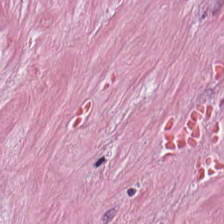H&E — Q: What tissue is shown?
A: This is desmoplastic stroma.
